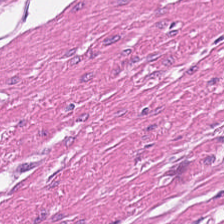Brightfield microscopy; H&E stain.
Tissue type = smooth-muscle tissue.
